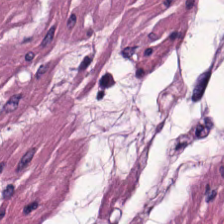Tissue type = smooth-muscle tissue.
